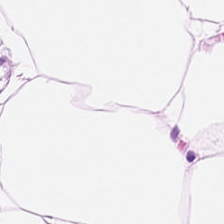H&E-stained tissue section — Predominantly fat tissue.
